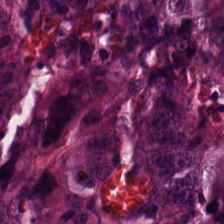Hematoxylin and eosin. Adenocarcinoma.
